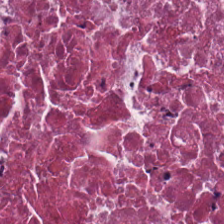Formalin-fixed paraffin-embedded section; H&E — Predominantly necrotic debris.
